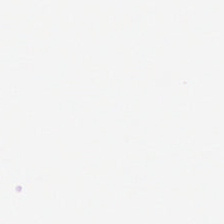Whole-slide-image patch · 0.5 µm per pixel · hematoxylin-and-eosin stained section — No tissue present; background only.
